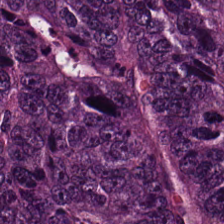H&E stain. Predominantly tumor epithelium.
